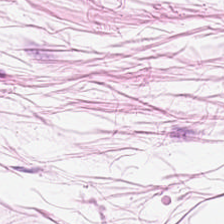H&E stain.
This patch shows fat tissue.
